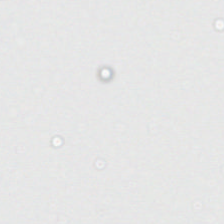Hematoxylin-and-eosin stained section; 224×224 px patch. Q: What does this patch show?
A: It is background.
